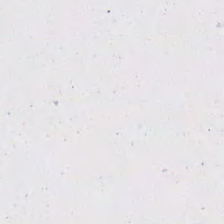This field is background (no tissue).
